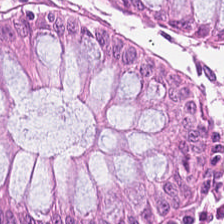Stain: hematoxylin and eosin.
Tile size: 224×224 px tile.
Preparation: FFPE tissue section.
Tissue type: benign colonic mucosa.
